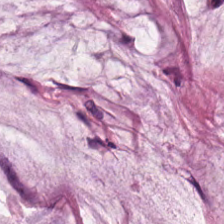Whole-slide-image patch. H&E stain — Classification — mucus.
